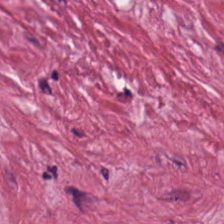Hematoxylin-and-eosin stained section.
The predominant tissue is tumor stroma.
